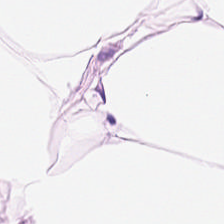H&E patch showing adipose tissue.
